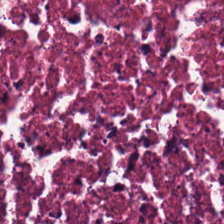H&E stain. {"tissue_type": "cellular debris"}
